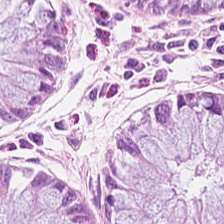Stain: hematoxylin and eosin.
Tissue type: normal colonic mucosa.
